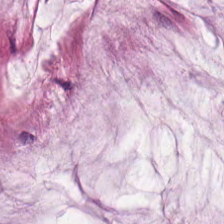Hematoxylin-and-eosin stained section · formalin-fixed paraffin-embedded section — Q: Identify the tissue.
A: This is mucin.
